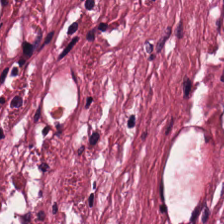H&E stain — Showing desmoplastic stroma.
